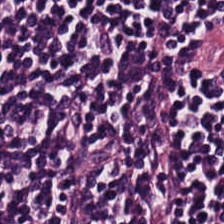{"tissue_type": "lymphocytes"}
